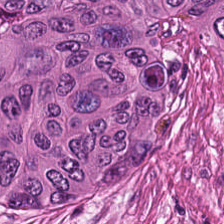224×224 px patch. H&E. Formalin-fixed paraffin-embedded section.
The tissue here is colorectal adenocarcinoma epithelium.
